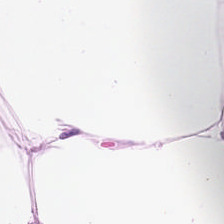H&E stain. Tissue class: fat tissue.
